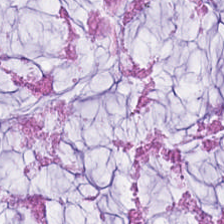H&E-stained tissue section.
Q: Identify the tissue.
A: This is extracellular mucin.
